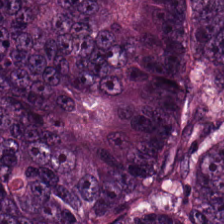Formalin-fixed paraffin-embedded section. H&E. Brightfield — Q: What tissue is shown?
A: This is colorectal adenocarcinoma epithelium.
